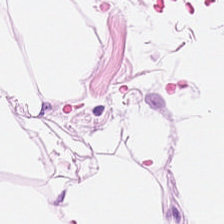Hematoxylin and eosin. Impression → adipose tissue.
